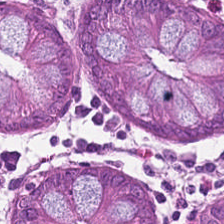H&E stain · formalin-fixed paraffin-embedded section — Classification = non-neoplastic colon mucosa.
